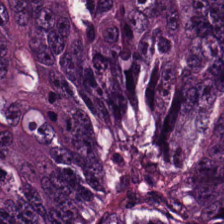Stain: H&E stain.
Classification: adenocarcinoma.
